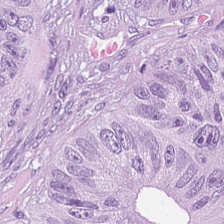Stain: H&E stain.
Acquisition: whole-slide-image patch.
Predominant tissue: colorectal adenocarcinoma epithelium.
